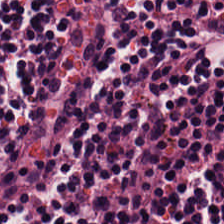Stain: H&E.
Preparation: FFPE tissue section.
Classification: lymphocytic infiltrate.
